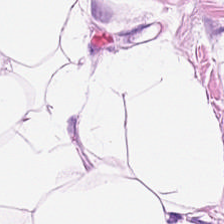224×224 px tile. H&E-stained tissue section. Predominantly adipose.
